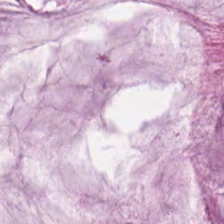H&E · 0.5 µm/px · 224×224 pixel tile. Tissue type: mucin.
